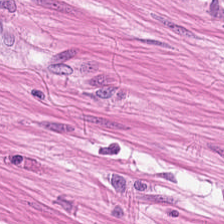H&E. 224×224 pixel tile.
Predominantly muscularis.
